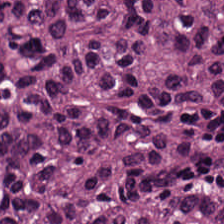H&E.
Tissue type: colorectal adenocarcinoma.
